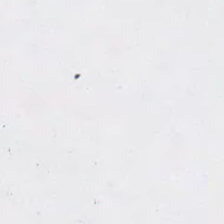224×224 px tile; hematoxylin and eosin.
Background (no tissue).
